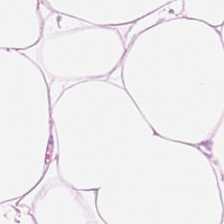Hematoxylin and eosin; 224×224 px patch. Histology → adipose tissue.
